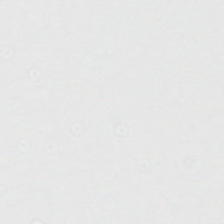Hematoxylin and eosin.
Q: What is shown here?
A: Empty background.
